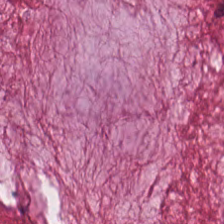H&E stain. Showing mucus.
